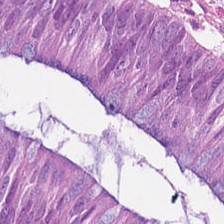0.5 µm/px · H&E. Tissue class: colorectal adenocarcinoma.
